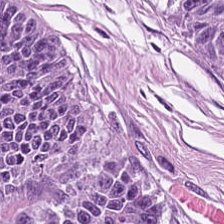Hematoxylin-and-eosin stained section. Tissue — adenocarcinoma.
